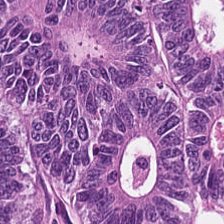Predominant tissue — tumor epithelium.
